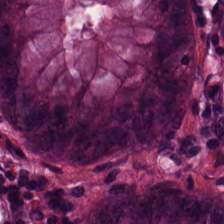FFPE. H&E.
Normal colonic mucosa.
